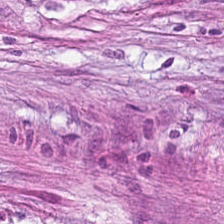Tissue type: tumor-associated stroma.
